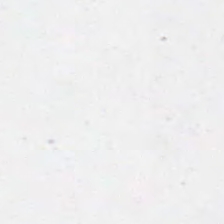H&E — This patch shows background.
